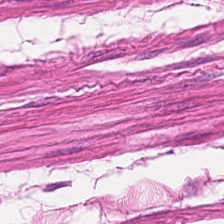H&E stain · 0.5 µm/px — This patch shows smooth muscle.
